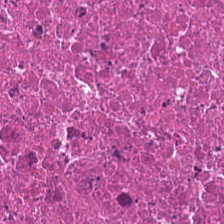H&E-stained tissue section.
The predominant tissue is cellular debris.
